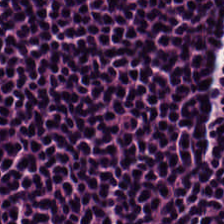Hematoxylin and eosin — This patch shows lymphocytes.
